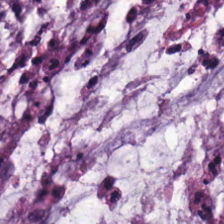Predominant tissue = mucin.
